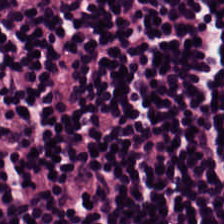H&E-stained tissue section — Lymphoid infiltrate.
